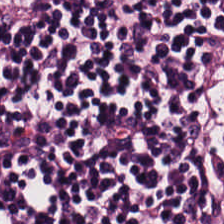Stain: H&E-stained tissue section.
Tissue type: lymphocytes.
